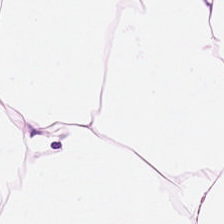H&E patch showing adipose tissue.
